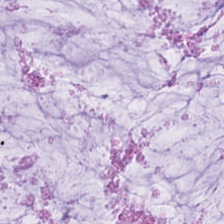FFPE tissue section · hematoxylin-and-eosin stained section · whole-slide-image patch.
The tissue type is mucin.
